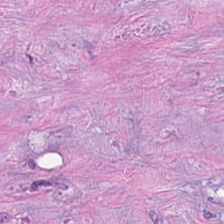Stain: H&E stain.
Acquisition: WSI patch.
Tile size: 224×224 pixel tile.
Predominant tissue: desmoplastic stroma.
